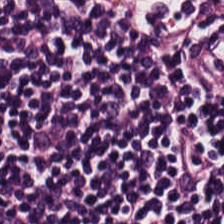Hematoxylin-and-eosin stained section.
Q: What is shown in this field?
A: It is lymphocytic infiltrate.
